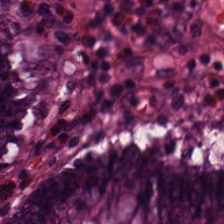FFPE tissue section; 224×224 px patch; hematoxylin-and-eosin stained section.
Predominant tissue — normal colonic mucosa.
